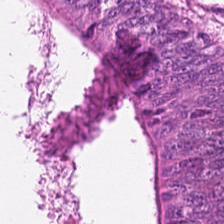Stain: H&E.
Tissue class: tumor epithelium.
